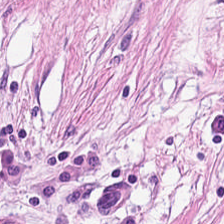Hematoxylin and eosin.
The predominant tissue is tumor-associated stroma.
